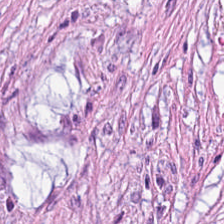H&E. 224×224 px tile. Histology → tumor stroma.
